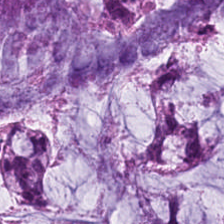Hematoxylin-and-eosin stained section. Q: What is the predominant tissue type?
A: It is extracellular mucin.
